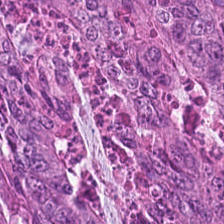Hematoxylin-and-eosin stained section. The tissue class is colorectal adenocarcinoma.
